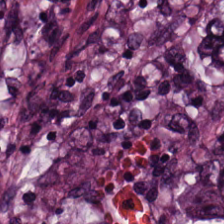H&E stain. 224×224 px tile.
The tissue here is colorectal adenocarcinoma.
